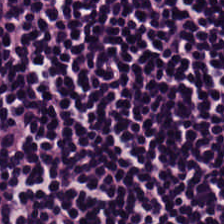The tissue here is lymphocyte aggregate.
